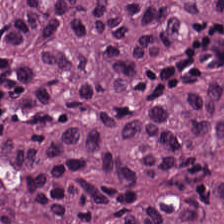Hematoxylin and eosin. Showing malignant epithelium.
